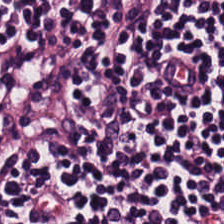224×224 px patch · H&E.
Q: What tissue is shown?
A: This is lymphoid infiltrate.
